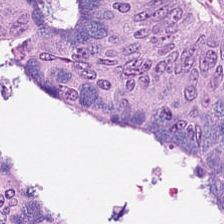H&E — The tissue type is tumor epithelium.
